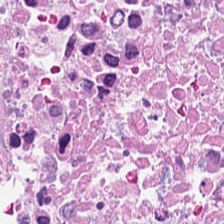Hematoxylin-and-eosin stained section.
Necrotic debris.
